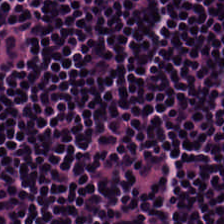H&E. FFPE. The predominant tissue is lymphocyte aggregate.
